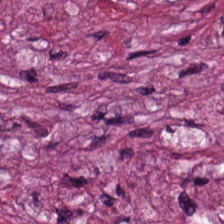H&E stain. Q: What type of tissue is this?
A: This is tumor-associated stroma.
